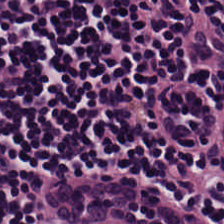H&E · 20× equivalent magnification — The tissue class is lymphocytic infiltrate.
